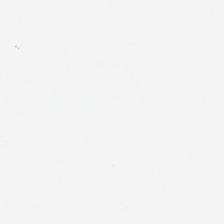H&E — This patch shows empty background.
